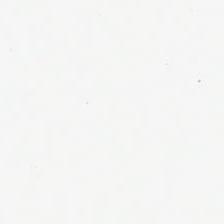Hematoxylin-and-eosin stained section · brightfield · 0.5 µm per pixel.
Background — no tissue in this field.
